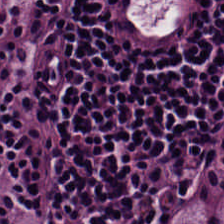Stain: hematoxylin-and-eosin stained section.
Tissue class: lymphocyte aggregate.
